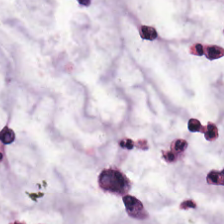H&E-stained tissue section; 20× equivalent magnification — The predominant tissue is mucus.
